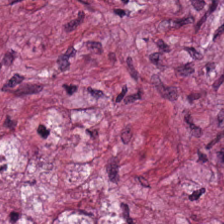Hematoxylin-and-eosin stained section. This field is cancer-associated stroma.
